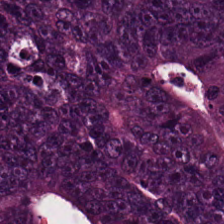Hematoxylin and eosin.
Classification = tumor epithelium.
